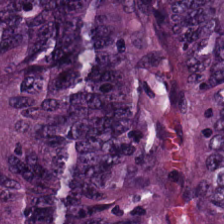FFPE tissue section · H&E stain · 224×224 px tile. Impression — colorectal adenocarcinoma epithelium.
